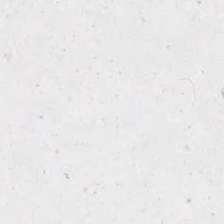H&E.
Background.
